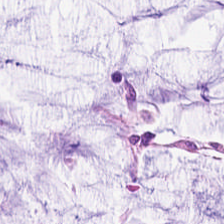Hematoxylin and eosin. Predominantly extracellular mucin.
